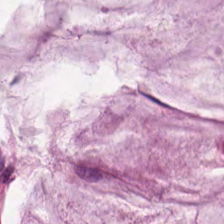H&E-stained tissue section · brightfield · 224×224 px tile.
Impression — extracellular mucin.
